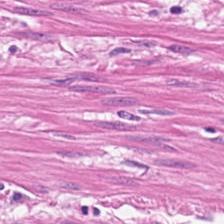0.5 microns per pixel; H&E. Predominantly smooth-muscle tissue.
